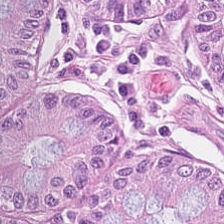H&E.
The predominant tissue is normal colonic mucosa.
